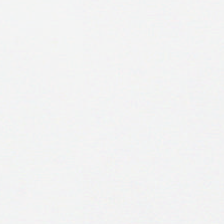Hematoxylin-and-eosin stained section. 224×224 pixel tile. Formalin-fixed paraffin-embedded section. Classification = no tissue.
